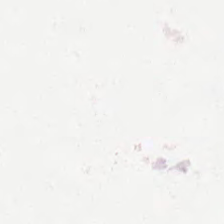Empty field — no tissue.
